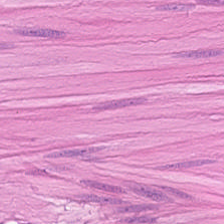Q: What is shown here?
A: Smooth muscle.
